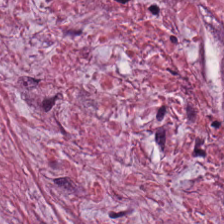Hematoxylin-and-eosin section: tumor-associated stroma.
